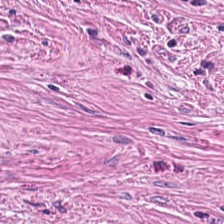This field is cancer-associated stroma.
